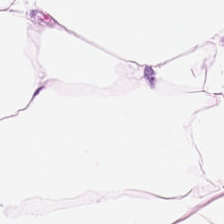Predominant tissue — fat tissue.
